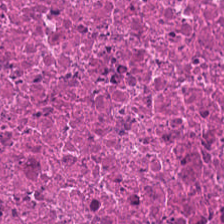FFPE tissue section. Hematoxylin-and-eosin stained section — Predominant tissue: debris.
